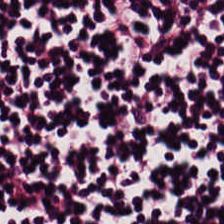Stain: H&E stain.
Classification: lymphocytes.
